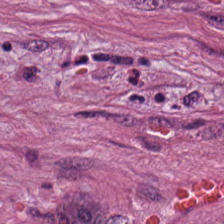Stain: H&E-stained tissue section.
Tissue class: desmoplastic stroma.
